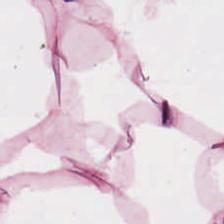H&E stain — Fat tissue.
